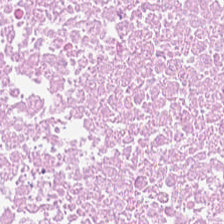H&E-stained tissue section. The tissue type is necrotic debris.
